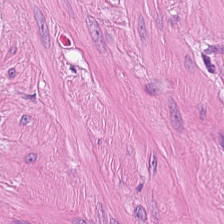H&E-stained tissue section. 224×224 px patch.
This patch shows smooth muscle.
